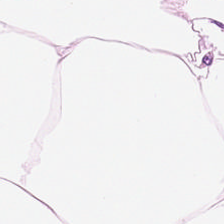WSI patch; H&E-stained tissue section; 224×224 px patch — Fat tissue.
